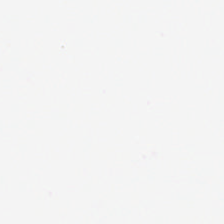224×224 px tile · hematoxylin and eosin.
The field content is background (no tissue).
